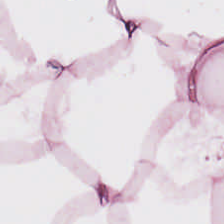Stain: H&E-stained tissue section.
Resolution: 0.5 microns per pixel.
Tissue: adipose.
